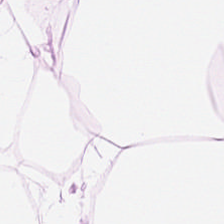Tissue class: adipocytes.
